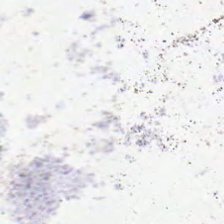20× equivalent magnification; H&E.
Background — no tissue in this field.
